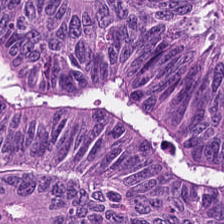H&E; brightfield.
Malignant epithelium.
